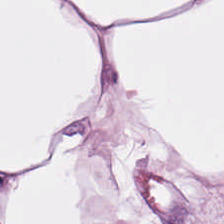H&E-stained tissue section. The predominant tissue is adipose.
